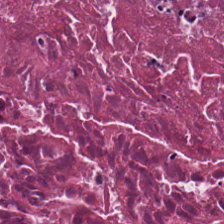H&E-stained tissue section. Classification — cellular debris.
